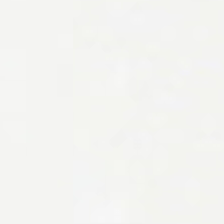H&E-stained tissue section.
The classification is empty background.
